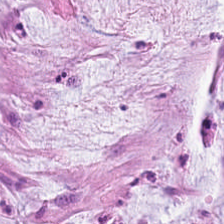H&E-stained section; the field shows mucin.
